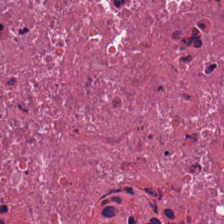Debris.
